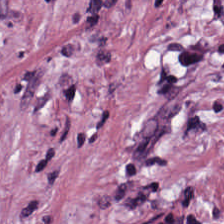H&E stain.
Tissue type — tumor-associated stroma.
